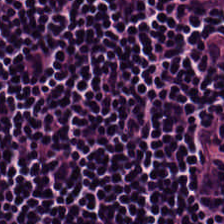Hematoxylin-and-eosin stained section.
This patch shows lymphoid infiltrate.
